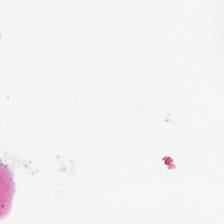H&E-stained tissue section.
This patch shows no tissue.
